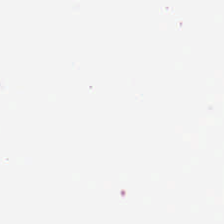H&E-stained tissue section.
Q: What does this patch show?
A: The field shows background (no tissue).
